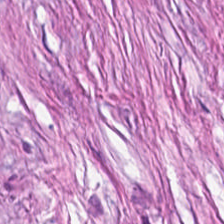Tissue class: tumor stroma.
